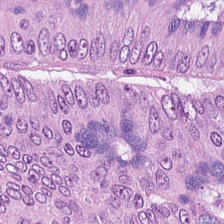Hematoxylin-and-eosin stained section. Impression → colorectal adenocarcinoma.
